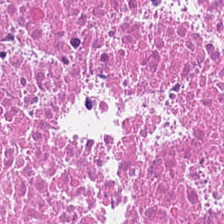224×224 pixel tile. Hematoxylin and eosin. FFPE tissue section.
Q: What tissue is shown?
A: It is debris.
